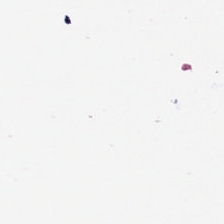H&E stain. This field is background (no tissue).
